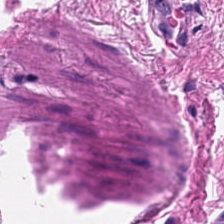Stain: hematoxylin-and-eosin stained section.
Preparation: FFPE.
Tissue type: muscularis.
